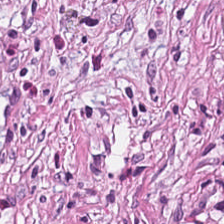Tissue type — desmoplastic stroma.
